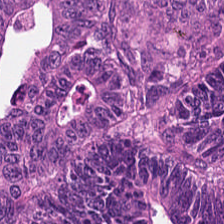H&E stain. 0.5 microns per pixel — The tissue here is colorectal adenocarcinoma.
